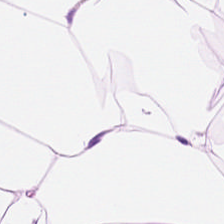H&E patch showing fat tissue.
